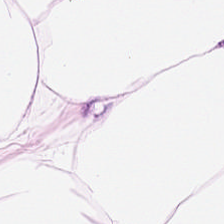0.5 microns per pixel · 224×224 px patch · H&E stain — Finding → adipocytes.
